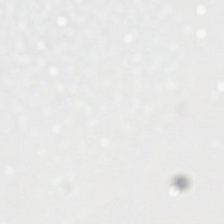0.5 µm/px; H&E-stained tissue section — Q: What is shown here?
A: No tissue.
